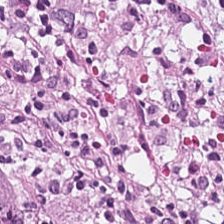H&E — The predominant tissue is desmoplastic stroma.
